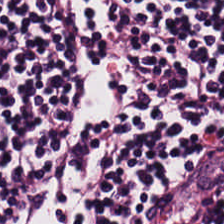Predominant tissue: lymphocytic infiltrate.
